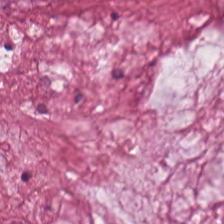224×224 px patch; H&E stain — Predominantly mucin.
